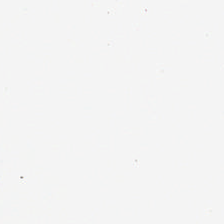Hematoxylin-and-eosin stained section. Background — no tissue in this field.
